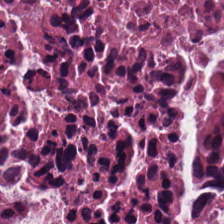H&E.
Tissue: necrotic debris.
